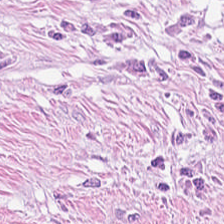H&E — Tissue type: tumor-associated stroma.
